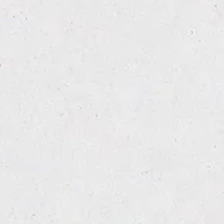H&E-stained tissue section. Classification: background.
